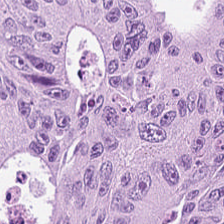Q: What type of tissue is this?
A: The field shows colorectal adenocarcinoma epithelium.
